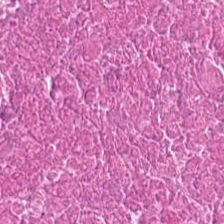Tissue type: necrotic debris.
